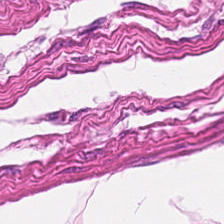H&E-stained tissue section showing muscularis.
